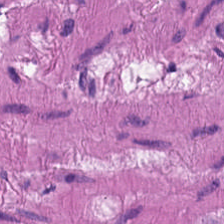Stain: H&E stain.
Resolution: 0.5 µm per pixel.
Tissue class: muscularis.
